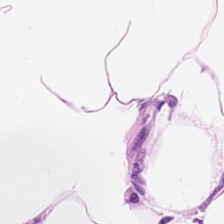Stain: H&E.
Tissue class: adipose tissue.
